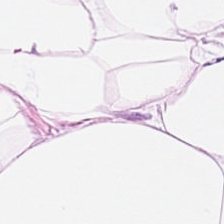Stain: H&E stain.
Classification: fat tissue.
